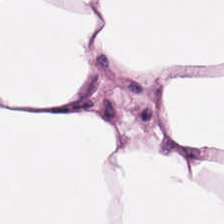FFPE tissue section · hematoxylin and eosin · whole-slide-image patch. Q: Classify this patch.
A: This is adipocytes.
